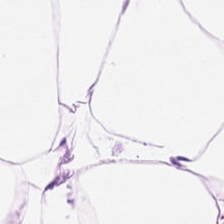Stain: hematoxylin-and-eosin stained section.
Tissue class: adipocytes.
